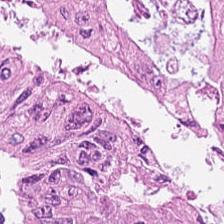Finding — colorectal adenocarcinoma epithelium.
